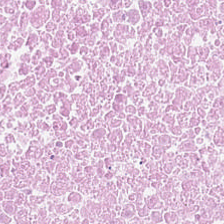H&E — The tissue type is cellular debris.
